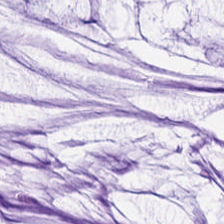WSI patch; H&E. {"tissue_type": "mucus"}
